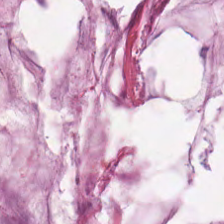Hematoxylin-and-eosin stained section — Q: What is shown in this field?
A: This is extracellular mucin.
